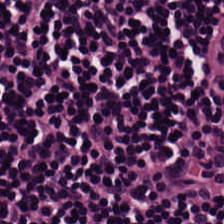Tissue type — lymphocytes.
